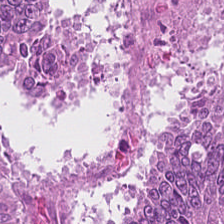Q: Classify this patch.
A: This is adenocarcinoma.
